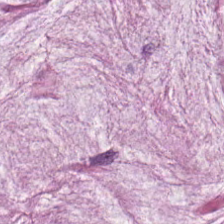Stain: hematoxylin-and-eosin stained section.
Tissue type: extracellular mucin.
